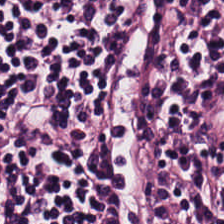Predominant tissue = lymphoid infiltrate.
